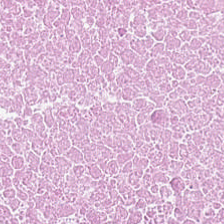H&E-stained tissue section showing cellular debris.
